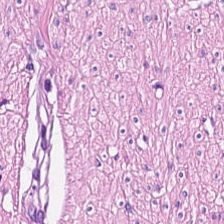H&E stain — Tissue — smooth-muscle tissue.
